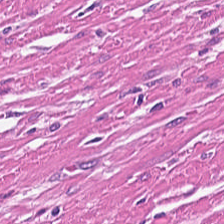This field is smooth-muscle tissue.
